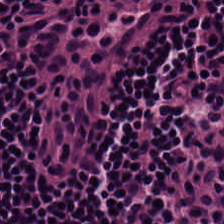H&E stain; brightfield microscopy — This patch shows lymphocytic infiltrate.
